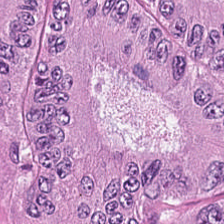Hematoxylin-and-eosin stained section. Q: What type of tissue is this?
A: It is colorectal adenocarcinoma epithelium.
